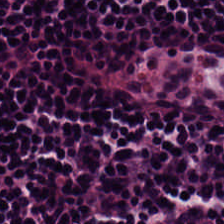Hematoxylin and eosin — Showing lymphocyte aggregate.
